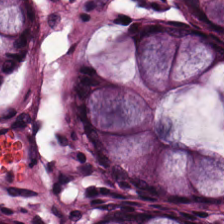H&E-stained tissue section.
The classification is normal colonic mucosa.
